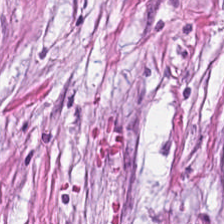Stain: H&E stain.
Resolution: 20× equivalent magnification.
Classification: tumor-associated stroma.
